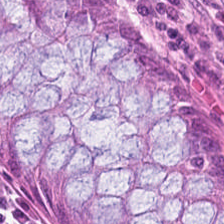{"tissue_type": "non-neoplastic colon mucosa"}
